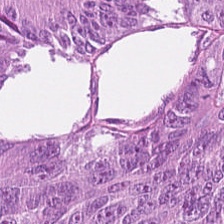224×224 px patch. Brightfield microscopy. H&E stain.
Predominant tissue: adenocarcinoma.
